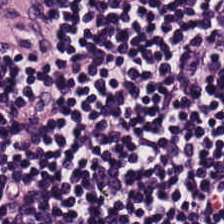0.5 microns per pixel. FFPE. H&E-stained tissue section.
Q: What is the predominant tissue type?
A: This is lymphocytes.
